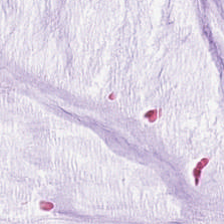Brightfield microscopy · H&E stain. {"tissue_type": "mucus"}
